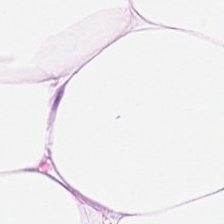Stain: hematoxylin and eosin.
Resolution: 20× equivalent magnification.
Acquisition: brightfield.
Tissue class: adipose.
